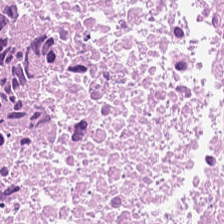The classification is debris.
